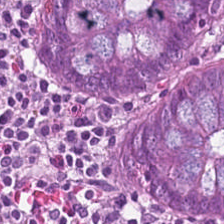H&E. This patch shows benign colonic mucosa.
